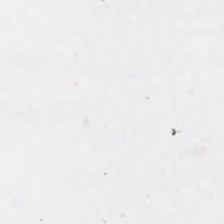H&E; WSI patch. Content = background (no tissue).
